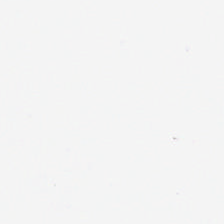Hematoxylin and eosin. Histology → no tissue.
